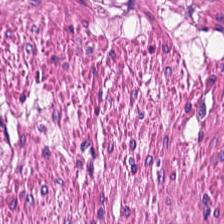WSI patch; hematoxylin-and-eosin stained section — The predominant tissue is smooth muscle.
